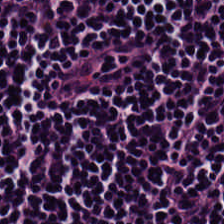This field is lymphoid infiltrate.
